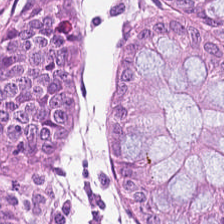Hematoxylin-and-eosin stained section.
Non-neoplastic colon mucosa.
